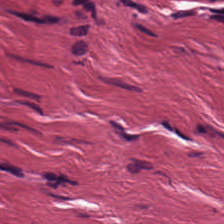H&E-stained tissue section.
Q: What tissue type is shown here?
A: Tumor-associated stroma.
